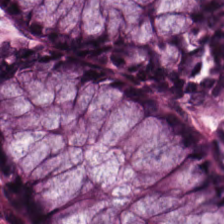Hematoxylin and eosin · brightfield. Histology → non-neoplastic colon mucosa.
